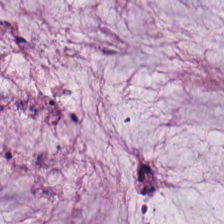H&E. Finding — mucus.
